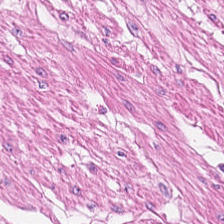Stain: hematoxylin and eosin.
Tissue type: smooth-muscle tissue.
